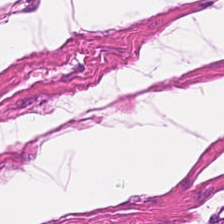H&E. Tissue — smooth muscle.
